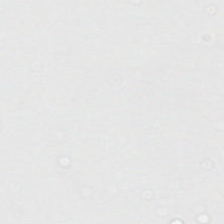{"content": "background"}
